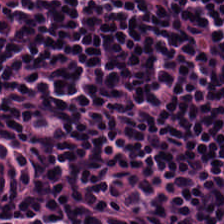Stain: hematoxylin and eosin.
Tile size: 224×224 px tile.
Acquisition: whole-slide-image patch.
Tissue: lymphocytic infiltrate.
